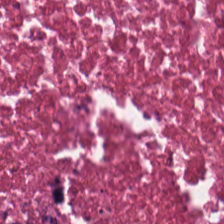Predominant tissue: cellular debris.
